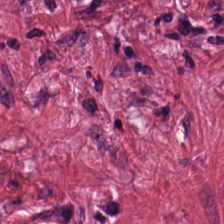Stain: H&E.
Classification: desmoplastic stroma.
